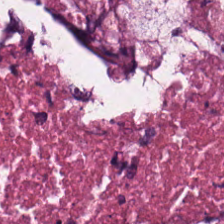Hematoxylin and eosin. Predominantly necrotic debris.
